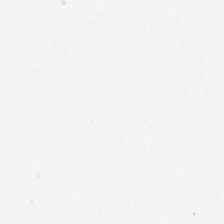FFPE tissue section · H&E. Q: What does this patch show?
A: The field shows background (no tissue).
